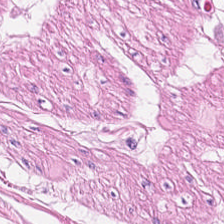Hematoxylin and eosin — This field is muscularis.
